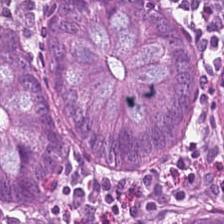Hematoxylin and eosin. Tissue class: benign colonic mucosa.
